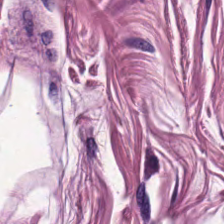Hematoxylin and eosin. This field is smooth-muscle tissue.
